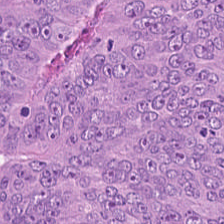Hematoxylin-and-eosin stained section. Impression — adenocarcinoma.
